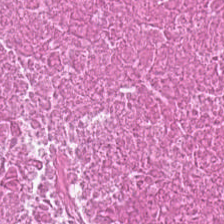Stain: H&E.
Tissue type: debris.
